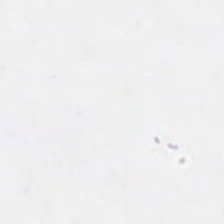Whole-slide-image patch · hematoxylin and eosin.
Field content = empty background.
